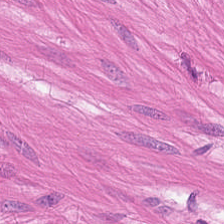0.5 µm/px. Formalin-fixed paraffin-embedded section. H&E stain — Histology — smooth muscle.
